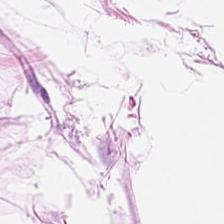H&E.
This patch shows fat tissue.
